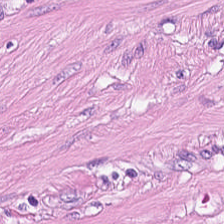The predominant tissue is smooth muscle.
